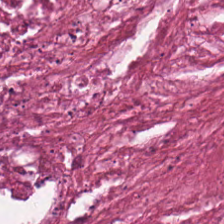H&E stain. Cellular debris.
